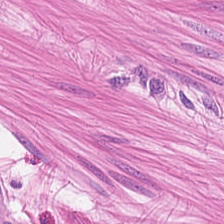Q: What type of tissue is this?
A: The field shows smooth muscle.
